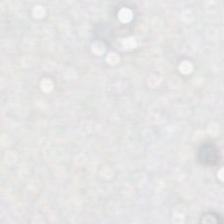H&E stain. Histology — background.
